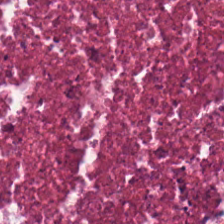H&E — debris.
